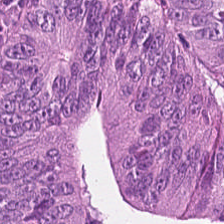Hematoxylin and eosin. {"tissue_type": "tumor epithelium"}
